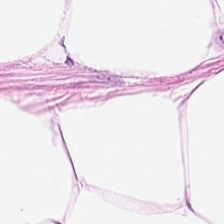Hematoxylin and eosin.
Finding → fat tissue.
